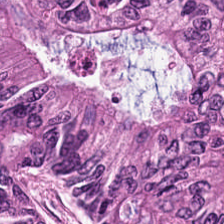FFPE tissue section; hematoxylin and eosin; 224×224 px patch.
{"tissue_type": "colorectal adenocarcinoma epithelium"}
